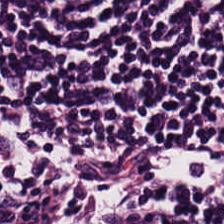Hematoxylin and eosin.
Tissue type — lymphocyte aggregate.
